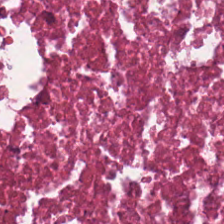H&E stain. Classification — cellular debris.
